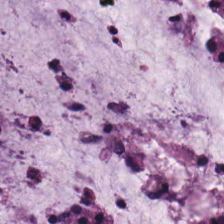Brightfield microscopy · 0.5 µm per pixel · hematoxylin and eosin — Classification — extracellular mucin.
